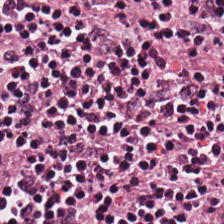Stain: hematoxylin-and-eosin stained section.
Tissue type: lymphoid infiltrate.
